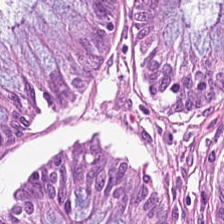Hematoxylin-and-eosin stained section. Brightfield microscopy — The predominant tissue is non-neoplastic colon mucosa.
